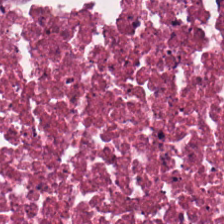Hematoxylin-and-eosin stained section.
{"tissue_type": "cellular debris"}
